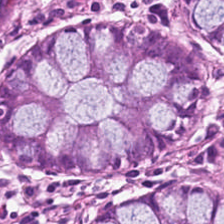Hematoxylin and eosin. Impression → normal colonic mucosa.
